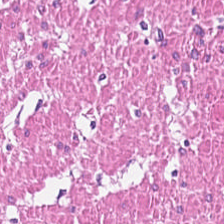H&E-stained tissue section. This field is smooth-muscle tissue.
